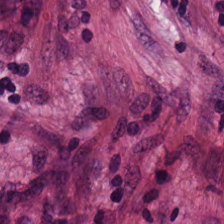Formalin-fixed paraffin-embedded section · H&E stain.
Q: What is the predominant tissue type?
A: This is tumor-associated stroma.
